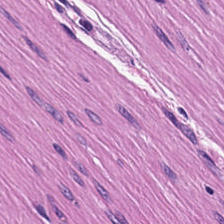Stain: H&E.
Predominant tissue: smooth muscle.
